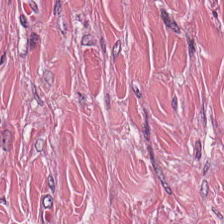H&E · FFPE · 224×224 px patch — Classification: cancer-associated stroma.
